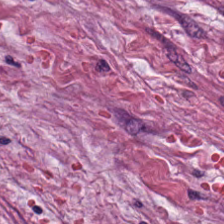Predominant tissue: cancer-associated stroma.
